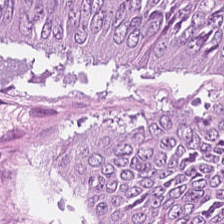H&E — Q: What tissue is shown?
A: Colorectal adenocarcinoma.
